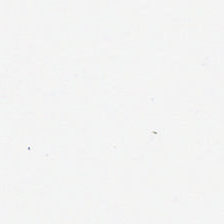Stain: H&E-stained tissue section.
Content: no tissue.
